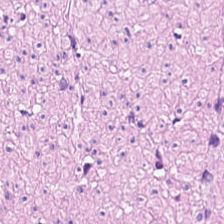H&E. This patch shows muscularis.
